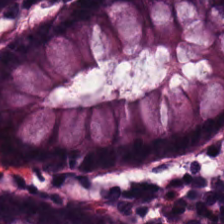H&E-stained tissue section — The predominant tissue is normal colon mucosa.
